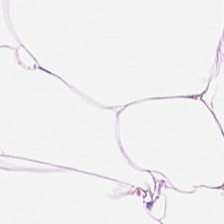{"tissue_type": "adipocytes"}
